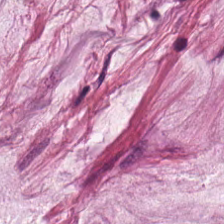Hematoxylin-and-eosin stained section.
Tissue type — mucus.
